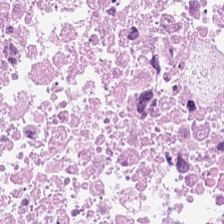Hematoxylin and eosin. 20× equivalent magnification — Predominantly cellular debris.
